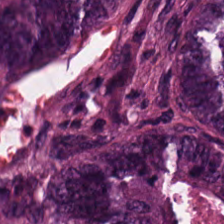H&E stain; 224×224 px tile; FFPE tissue section.
The tissue here is colorectal adenocarcinoma epithelium.
